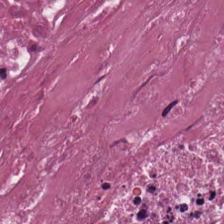H&E stain. Debris.
